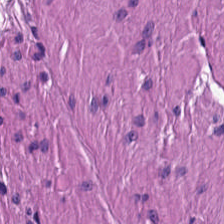224×224 px tile; H&E stain; 0.5 µm/px.
Predominantly smooth-muscle tissue.
